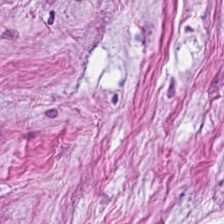H&E stain. Formalin-fixed paraffin-embedded section — Predominantly tumor stroma.
